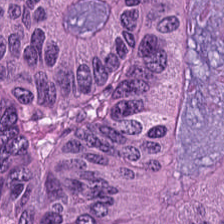0.5 µm/px; brightfield; hematoxylin-and-eosin stained section. Finding → colorectal adenocarcinoma.
